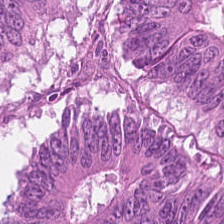Hematoxylin-and-eosin stained section — The predominant tissue is colorectal adenocarcinoma.
